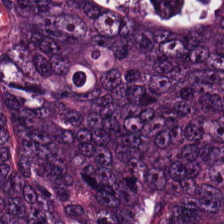Stain: H&E.
Predominant tissue: adenocarcinoma.
